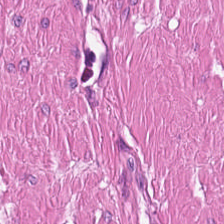H&E.
Tissue class: muscularis.
